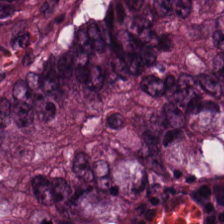H&E stain.
Histology — tumor epithelium.
